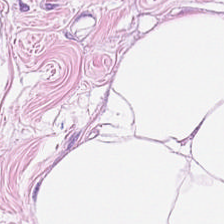Hematoxylin and eosin; FFPE tissue section. The tissue here is adipose.
